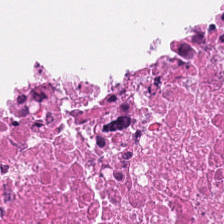Histology → necrotic debris.
